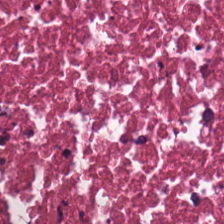Histology → cellular debris.
